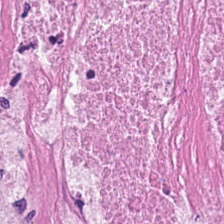0.5 microns per pixel. H&E stain.
Finding — cellular debris.
